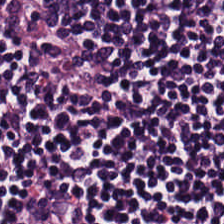0.5 µm per pixel; H&E stain. The predominant tissue is lymphocytic infiltrate.
